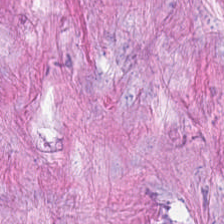Hematoxylin and eosin. This field is desmoplastic stroma.
